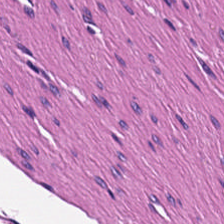H&E-stained tissue section — Finding → smooth muscle.
